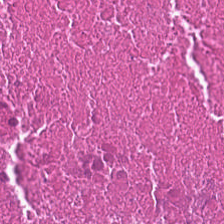Hematoxylin and eosin. Predominantly cellular debris.
